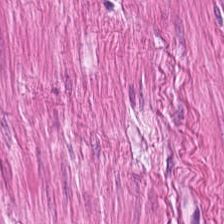Stain: H&E-stained tissue section.
Predominant tissue: muscularis.
